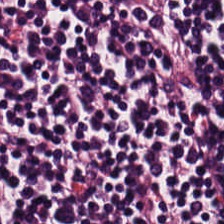Hematoxylin and eosin; FFPE tissue section.
{"tissue_type": "lymphocytes"}
